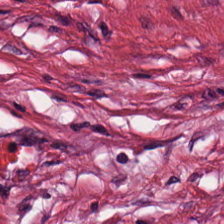H&E.
This patch shows tumor-associated stroma.
